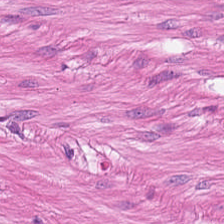H&E-stained tissue section — Smooth muscle.
